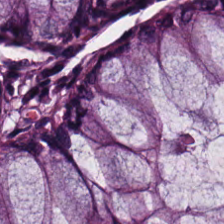H&E stain · WSI patch. Predominantly benign colonic mucosa.
